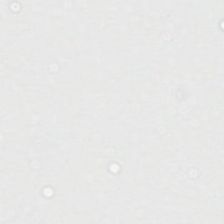Hematoxylin-and-eosin stained section — Content — background.
